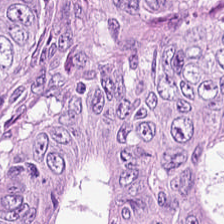224×224 px tile · hematoxylin and eosin.
This field is adenocarcinoma.
